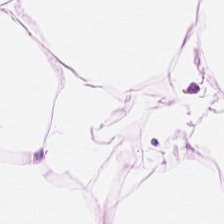H&E stain. Showing adipocytes.
